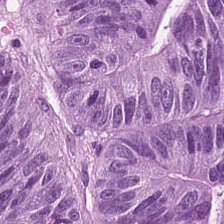224×224 pixel tile. H&E. This patch shows malignant epithelium.
